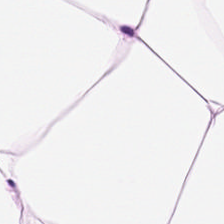Stain: H&E stain.
Classification: adipose tissue.
